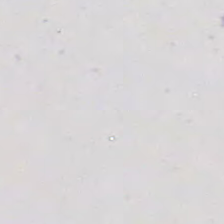H&E — Background — no tissue in this field.
